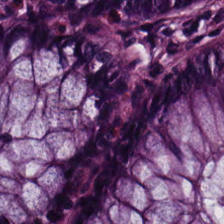Hematoxylin-and-eosin stained section; WSI patch.
{"tissue_type": "non-neoplastic colon mucosa"}
